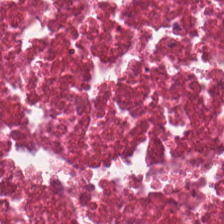Q: What tissue is shown?
A: The field shows necrotic debris.
